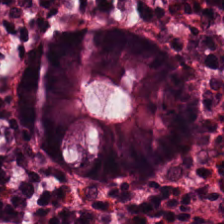H&E; 0.5 µm per pixel. Finding → normal colonic mucosa.
